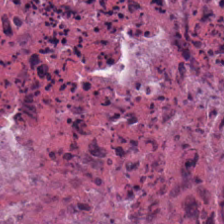Hematoxylin and eosin. Tissue type: cellular debris.
